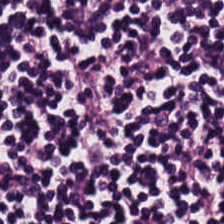H&E-stained tissue section — {"tissue_type": "lymphocytic infiltrate"}
